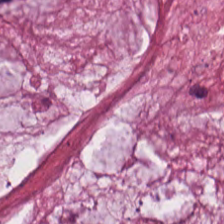The tissue here is mucus.
